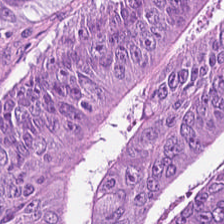224×224 pixel tile; H&E stain; 20× equivalent magnification.
This field is colorectal adenocarcinoma epithelium.
